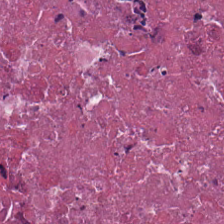Hematoxylin and eosin. Whole-slide-image patch.
Finding → debris.
